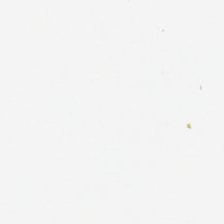224×224 px tile. Hematoxylin and eosin. This field is background (no tissue).
